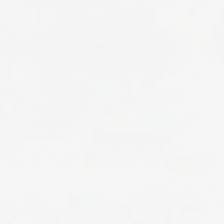H&E stain.
The field content is background.
